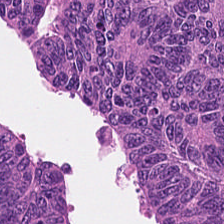H&E — malignant epithelium.
